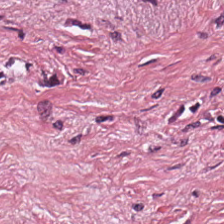224×224 pixel tile. 0.5 microns per pixel. H&E-stained tissue section. Q: What type of tissue is this?
A: This is desmoplastic stroma.
